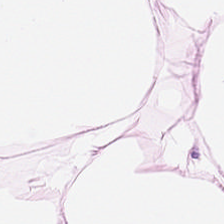H&E-stained tissue section · 224×224 px tile.
Tissue: adipose tissue.
